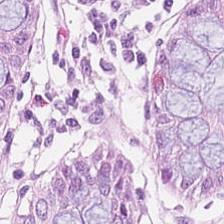224×224 px tile. H&E. FFPE.
Tissue: normal colonic mucosa.
